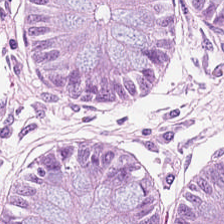Hematoxylin-and-eosin stained section — Tissue class = benign colonic mucosa.
